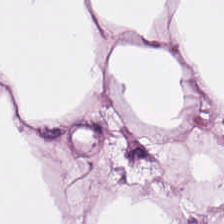224×224 px patch · H&E. Adipose.
